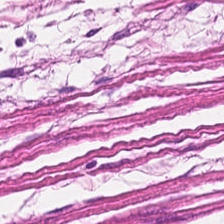Hematoxylin and eosin — The classification is smooth-muscle tissue.
